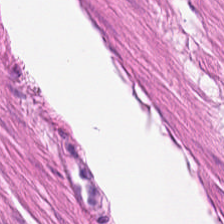H&E stain — Classification: smooth muscle.
